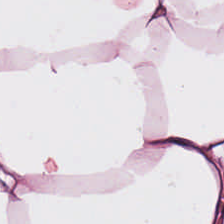WSI patch · H&E-stained tissue section.
Q: What is shown here?
A: Adipose.
